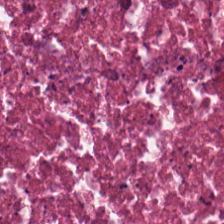FFPE · 224×224 pixel tile · hematoxylin and eosin.
Finding → necrotic debris.
